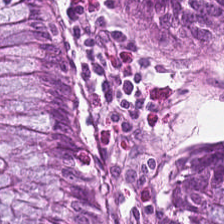Stain: hematoxylin and eosin.
Preparation: formalin-fixed paraffin-embedded section.
Tissue type: normal colonic mucosa.
